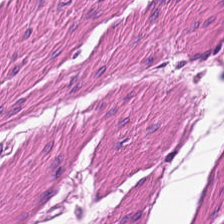Q: What is shown here?
A: This is smooth muscle.
